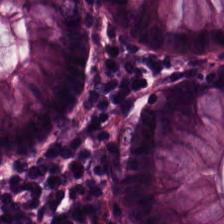Whole-slide-image patch. FFPE. H&E.
This field is benign colonic mucosa.
